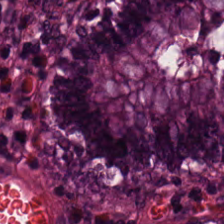This field is normal colonic mucosa.
